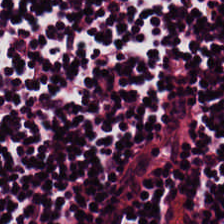0.5 µm/px. H&E — This field is lymphocytes.
